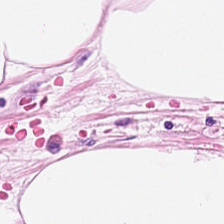H&E stain.
Impression — adipose.
